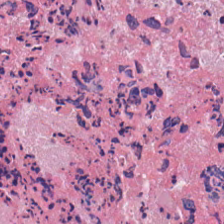H&E. This patch shows necrotic debris.
